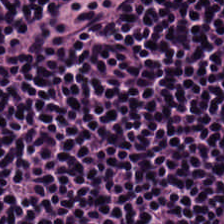Hematoxylin-and-eosin stained section.
Q: Identify the tissue.
A: This is lymphoid infiltrate.
